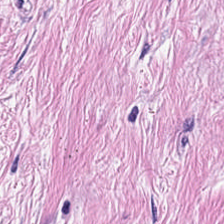Finding — tumor stroma.
